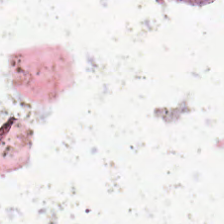H&E-stained tissue section — Q: Classify this patch.
A: It is background.
